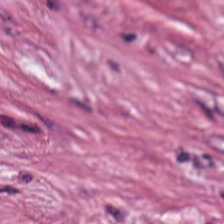{"tissue_type": "tumor stroma"}
